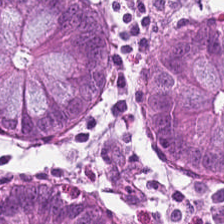224×224 pixel tile; whole-slide-image patch; H&E stain. Tissue type = non-neoplastic colon mucosa.
